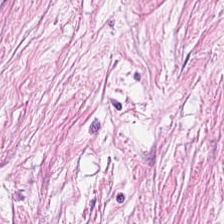H&E stain. Impression → desmoplastic stroma.
